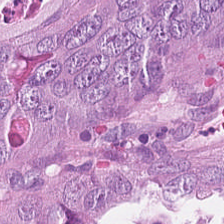Hematoxylin and eosin. The tissue type is colorectal adenocarcinoma.
